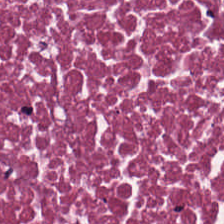224×224 px patch; H&E. Q: What tissue is shown?
A: It is debris.
